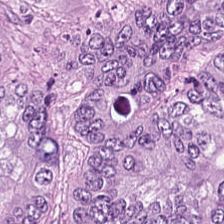Hematoxylin and eosin — {"tissue_type": "adenocarcinoma"}
